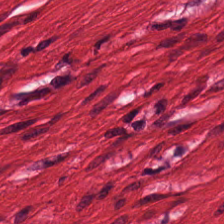Q: Classify this patch.
A: This is muscularis.
